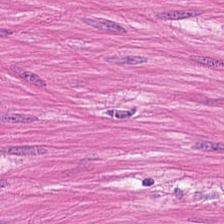Smooth-muscle tissue.
